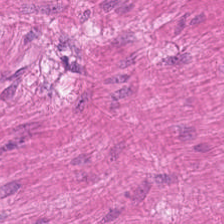FFPE; brightfield microscopy; H&E-stained tissue section — The tissue type is smooth muscle.
